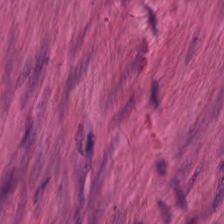FFPE tissue section; hematoxylin and eosin. Tissue: smooth muscle.
